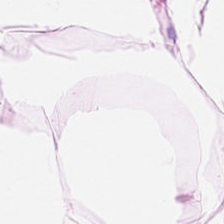H&E stain · WSI patch. Showing adipose.
